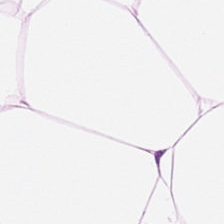WSI patch; hematoxylin-and-eosin stained section — Adipose.
